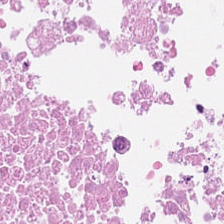224×224 pixel tile; H&E-stained tissue section. Showing debris.
